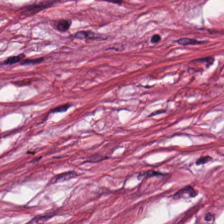H&E stain.
Q: What is the predominant tissue type?
A: This is desmoplastic stroma.
